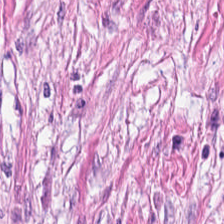H&E. Q: Classify this patch.
A: This is cancer-associated stroma.
